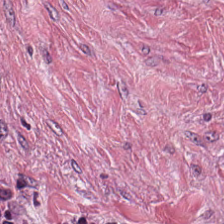Hematoxylin and eosin.
Tissue class: desmoplastic stroma.
